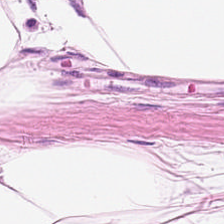FFPE. 224×224 px patch. H&E — The tissue is fat tissue.
